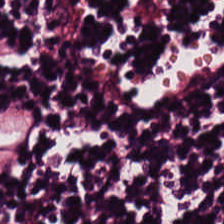Hematoxylin and eosin — Q: What does this patch show?
A: Lymphoid infiltrate.
